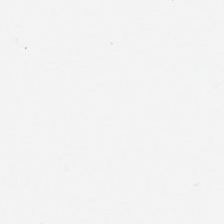H&E — This patch shows no tissue.
